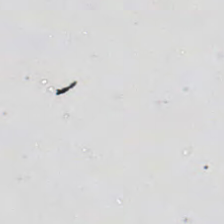Stain: hematoxylin and eosin.
Content: background (no tissue).
